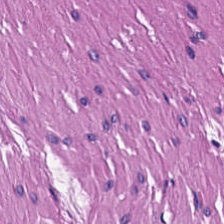Hematoxylin-and-eosin stained section. FFPE tissue section — Classification = smooth muscle.
